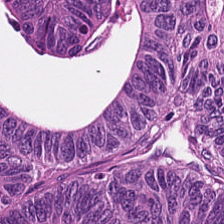H&E stain — Impression → colorectal adenocarcinoma epithelium.
